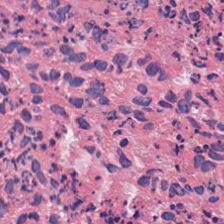224×224 pixel tile · H&E stain. This patch shows debris.
